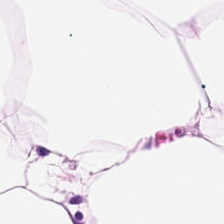Stain: H&E-stained tissue section.
Acquisition: whole-slide-image patch.
Tissue: fat tissue.
